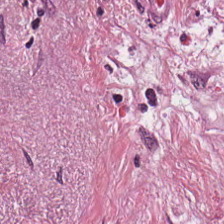H&E-stained tissue section showing tumor stroma.
